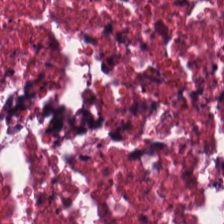Hematoxylin-and-eosin stained section. Predominant tissue — debris.
